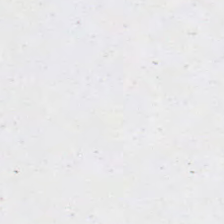H&E.
Classification — empty background.
